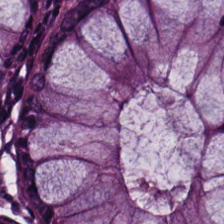Q: What does this patch show?
A: This is non-neoplastic colon mucosa.
